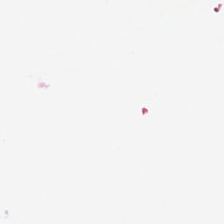Hematoxylin-and-eosin stained section — This patch shows background.
